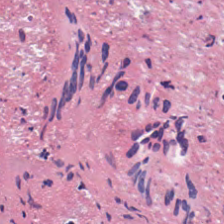Hematoxylin-and-eosin stained section. The tissue class is necrotic debris.
